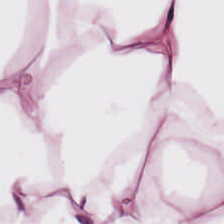Hematoxylin and eosin.
Q: What type of tissue is this?
A: It is adipocytes.
